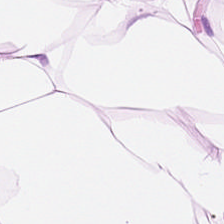H&E-stained tissue section · 224×224 px tile. Q: What does this patch show?
A: This is adipose tissue.
